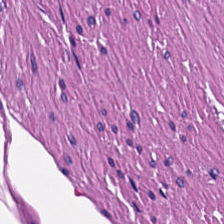{"tissue_type": "smooth muscle"}
